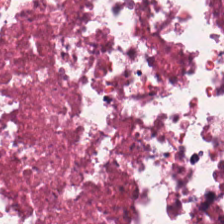Q: What does this patch show?
A: It is cellular debris.
